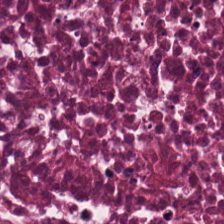Hematoxylin-and-eosin stained section · 0.5 µm per pixel · FFPE tissue section. Tissue — cellular debris.
